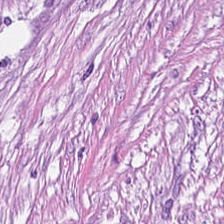Brightfield microscopy; hematoxylin and eosin. Q: What does this patch show?
A: It is desmoplastic stroma.
